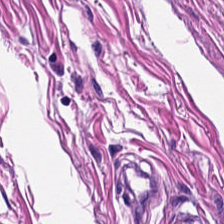Hematoxylin-and-eosin stained section. Histology → smooth muscle.
